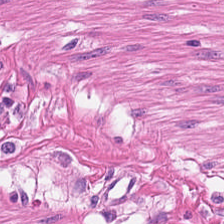H&E patch showing smooth-muscle tissue.
